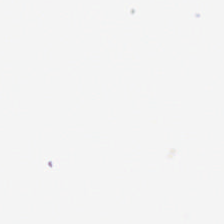H&E stain; FFPE. Q: What is shown in this field?
A: It is background.
